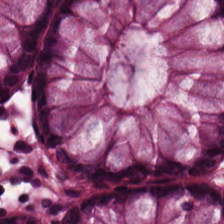Classification = non-neoplastic colon mucosa.
